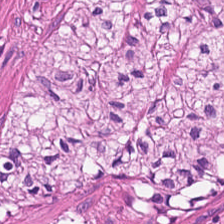Formalin-fixed paraffin-embedded section · hematoxylin-and-eosin stained section.
This field is muscularis.
